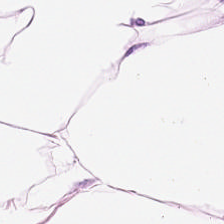H&E-stained section; the field shows adipose tissue.
